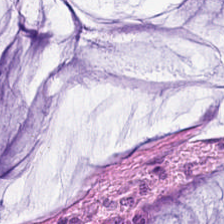Hematoxylin-and-eosin stained section — The tissue here is mucin.
